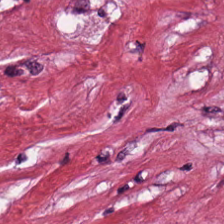Whole-slide-image patch · hematoxylin and eosin · formalin-fixed paraffin-embedded section — Predominantly tumor stroma.
